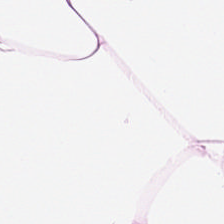224×224 px tile · hematoxylin and eosin · brightfield.
The tissue is adipose.
